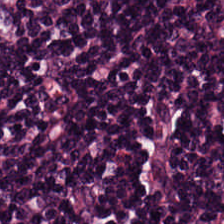Stain: H&E.
Tissue type: lymphocyte aggregate.
